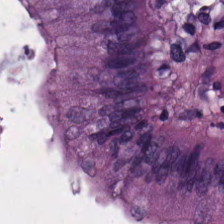H&E stain.
Predominantly normal colon mucosa.
